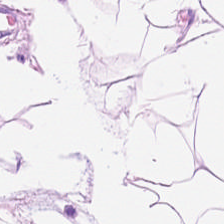H&E · brightfield microscopy — Q: Classify this patch.
A: The field shows adipose.
